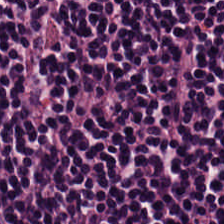Impression → lymphocytic infiltrate.
